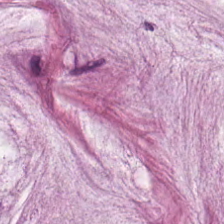Tissue type = extracellular mucin.
